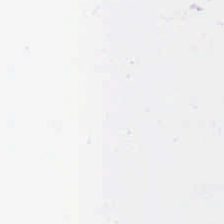Hematoxylin-and-eosin stained section; FFPE tissue section; 0.5 µm/px.
The field content is no tissue.
